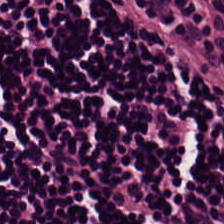0.5 µm per pixel. H&E. The predominant tissue is lymphocyte aggregate.
